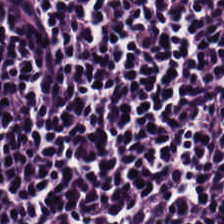H&E-stained tissue section showing lymphocyte aggregate.
